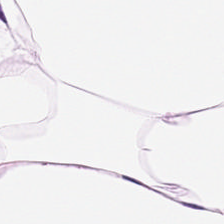Hematoxylin-and-eosin stained section; FFPE.
Classification — adipose.
